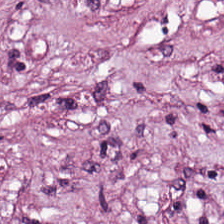Classification — desmoplastic stroma.
